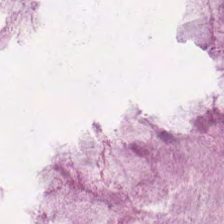H&E stain.
Tissue type: mucus.
